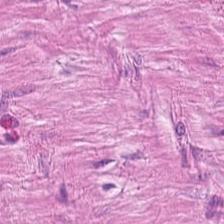Showing muscularis.
